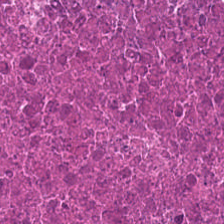Hematoxylin-and-eosin section: cellular debris.
